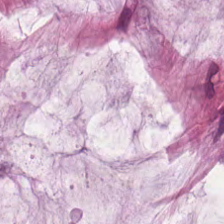H&E. Q: What type of tissue is this?
A: This is extracellular mucin.
